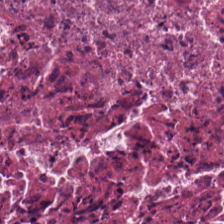H&E-stained tissue section.
Showing debris.
